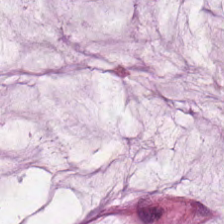H&E · FFPE tissue section — Histology — mucus.
